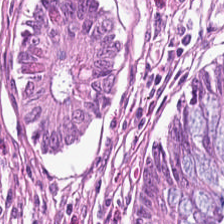Showing benign colonic mucosa.
